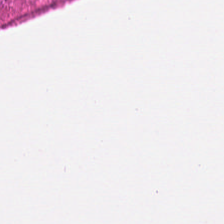H&E-stained section; the field shows muscularis.
